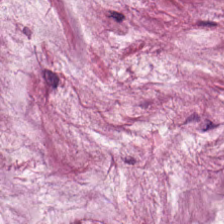The tissue type is mucus.
